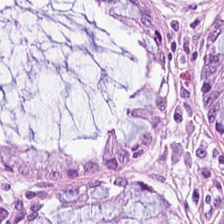Brightfield microscopy; 224×224 pixel tile; H&E stain.
The tissue here is normal colon mucosa.
